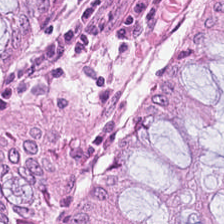H&E — {"tissue_type": "normal colon mucosa"}
